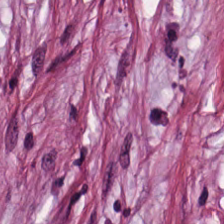H&E-stained tissue section.
The predominant tissue is desmoplastic stroma.
